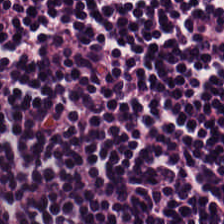Tissue type = lymphocytes.
